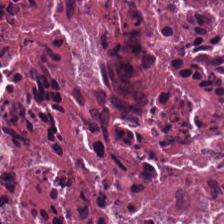Stain: H&E-stained tissue section.
Tissue class: necrotic debris.
